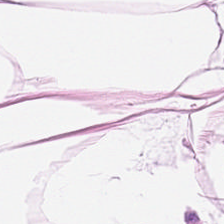H&E — Q: What does this patch show?
A: It is adipose tissue.
